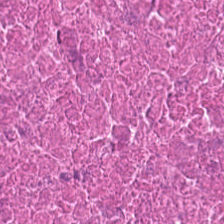H&E — {"tissue_type": "cellular debris"}
